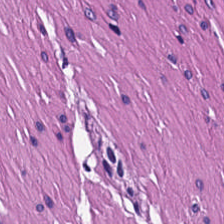H&E stain; 20× equivalent magnification. Tissue type: muscularis.
